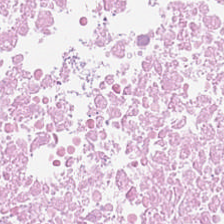Hematoxylin and eosin — Q: What is the predominant tissue type?
A: The field shows cellular debris.
